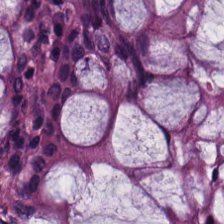Hematoxylin and eosin. Histology → normal colon mucosa.
